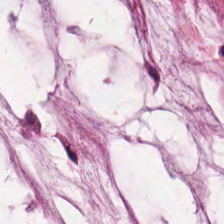Q: What is shown in this field?
A: This is mucin.
